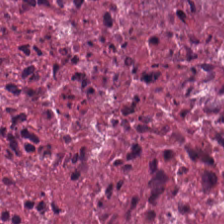224×224 px patch; brightfield microscopy; H&E-stained tissue section.
The tissue here is debris.
